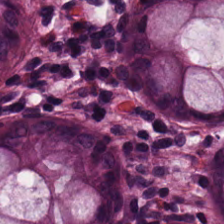H&E-stained tissue section; brightfield — Histology — benign colonic mucosa.
